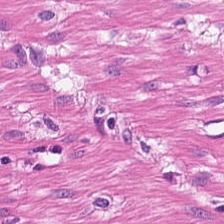H&E — Predominantly muscularis.
